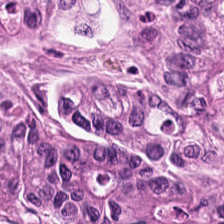Histology → malignant epithelium.
